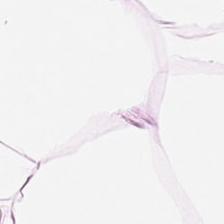Hematoxylin-and-eosin stained section — Tissue class — fat tissue.
